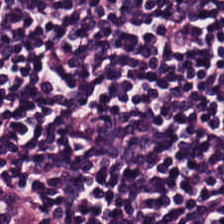Q: What type of tissue is this?
A: The field shows lymphocytes.
